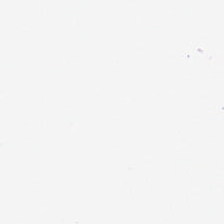Hematoxylin-and-eosin stained section — Q: What is shown here?
A: This is background (no tissue).
